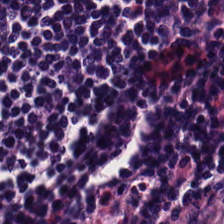Predominantly lymphocytic infiltrate.
